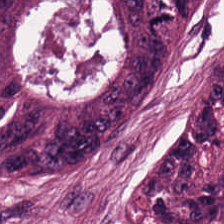H&E stain. Q: What is shown in this field?
A: It is adenocarcinoma.
